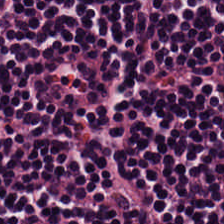Stain: hematoxylin and eosin.
Acquisition: brightfield.
Tile size: 224×224 px tile.
Tissue: lymphocytic infiltrate.
